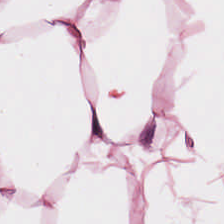H&E-stained tissue section.
Showing adipocytes.
